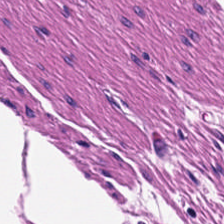Hematoxylin and eosin. This patch shows smooth-muscle tissue.
